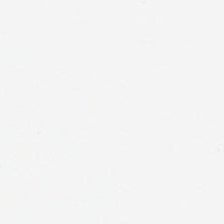H&E stain. Q: Classify this patch.
A: This is empty background.
